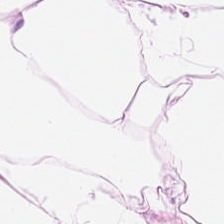H&E.
Predominantly fat tissue.
